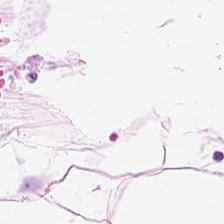Whole-slide-image patch; hematoxylin-and-eosin stained section; 0.5 µm per pixel — The predominant tissue is adipose.
